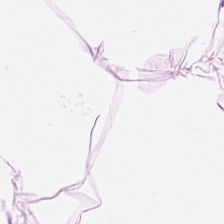Hematoxylin-and-eosin section: adipose.
